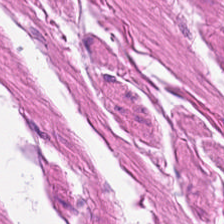Q: What is shown in this field?
A: Muscularis.
